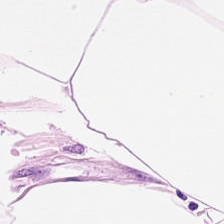Hematoxylin and eosin.
Predominant tissue = adipose.
